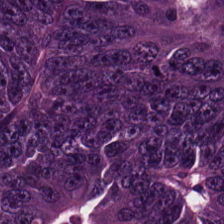H&E. FFPE tissue section.
Classification = colorectal adenocarcinoma.
